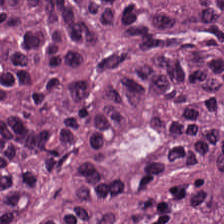WSI patch. H&E — Classification — tumor epithelium.
